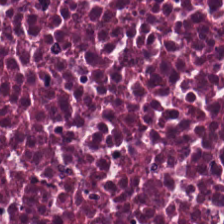Stain: H&E.
Predominant tissue: debris.
